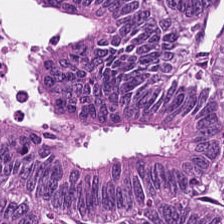224×224 px patch. H&E-stained tissue section. Predominantly malignant epithelium.
